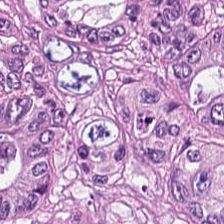Hematoxylin-and-eosin section: colorectal adenocarcinoma epithelium.
